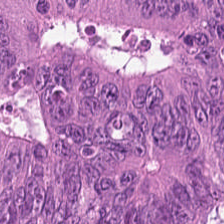The predominant tissue is colorectal adenocarcinoma epithelium.
